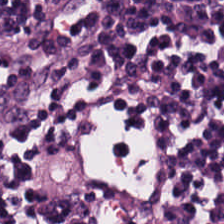H&E stain. {"tissue_type": "lymphocytes"}
